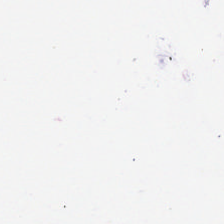H&E-stained tissue section. FFPE tissue section. 0.5 microns per pixel — {"content": "background"}
